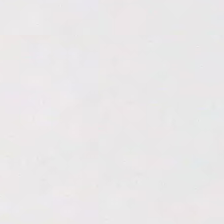20× equivalent magnification; WSI patch; hematoxylin-and-eosin stained section. Background — no tissue in this field.
